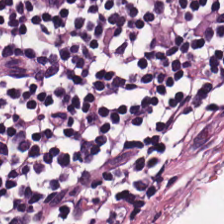0.5 µm/px. Hematoxylin-and-eosin stained section.
Showing lymphocyte aggregate.
